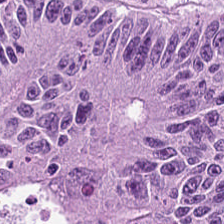Hematoxylin and eosin · brightfield microscopy.
The tissue here is colorectal adenocarcinoma epithelium.
